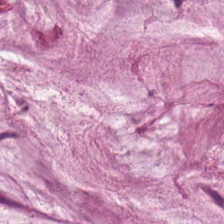FFPE tissue section; hematoxylin and eosin. This patch shows extracellular mucin.
